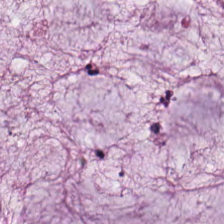Hematoxylin-and-eosin stained section. Tissue class = mucin.
